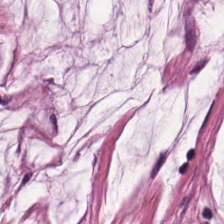H&E-stained tissue section — This patch shows mucus.
